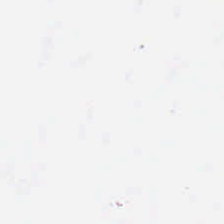Q: What does this patch show?
A: This is empty background.
